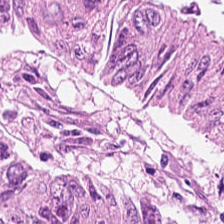The tissue type is malignant epithelium.
